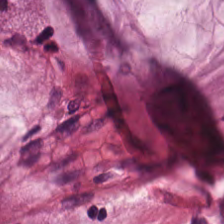Hematoxylin and eosin. This patch shows mucin.
